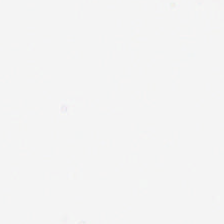WSI patch; 0.5 microns per pixel; hematoxylin and eosin. Q: What does this patch show?
A: The field shows empty background.
